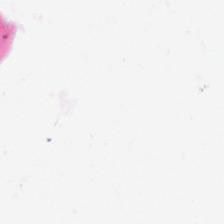FFPE; hematoxylin and eosin.
This patch shows empty background.
